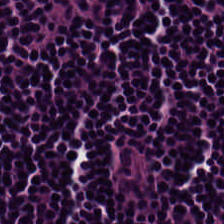H&E-stained tissue section showing lymphocyte aggregate.
